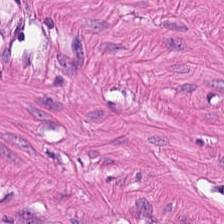224×224 px tile. H&E stain. Whole-slide-image patch. Q: What type of tissue is this?
A: Muscularis.
